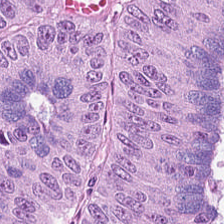H&E-stained tissue section showing tumor epithelium.
